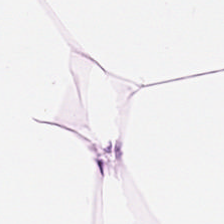H&E stain. The predominant tissue is adipose.
